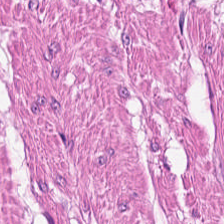H&E — The predominant tissue is muscularis.
